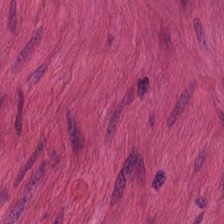Hematoxylin-and-eosin stained section. Impression → smooth muscle.
